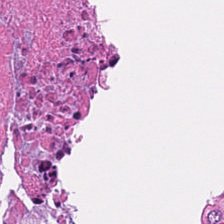WSI patch · formalin-fixed paraffin-embedded section · H&E.
Tissue type: debris.
